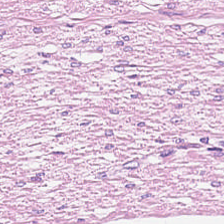Hematoxylin and eosin.
Predominantly muscularis.
